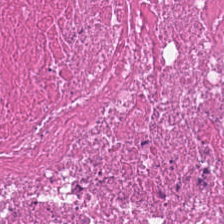The tissue here is debris.
